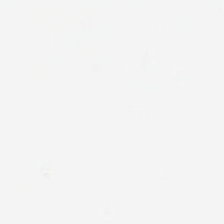H&E stain; formalin-fixed paraffin-embedded section. Background — no tissue in this field.
